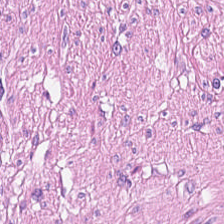Hematoxylin and eosin. Smooth muscle.
